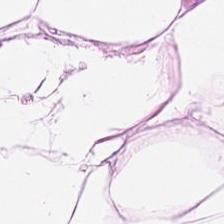H&E-stained tissue section showing adipose.
